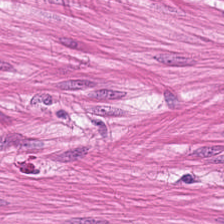Tissue class — smooth-muscle tissue.
